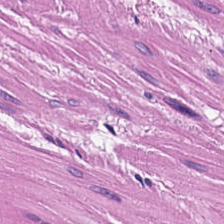Tissue class = muscularis.
